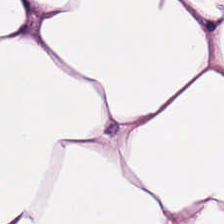FFPE · whole-slide-image patch · H&E — Q: Identify the tissue.
A: It is adipose tissue.
